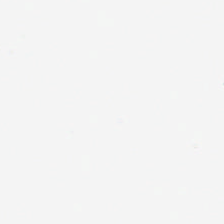Background — no tissue in this field.
